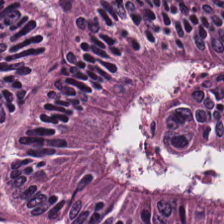H&E stain; FFPE — The predominant tissue is colorectal adenocarcinoma epithelium.
